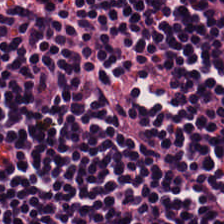The tissue type is lymphocytic infiltrate.
